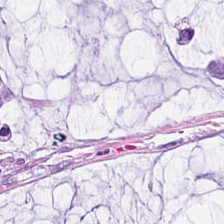Hematoxylin-and-eosin stained section. Whole-slide-image patch. Classification = mucus.
